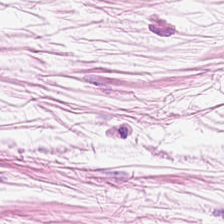Impression — fat tissue.
